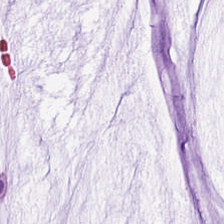H&E stain.
Tissue: mucus.
